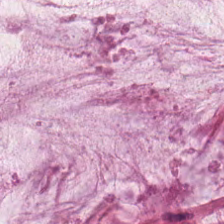Q: What type of tissue is this?
A: It is extracellular mucin.
